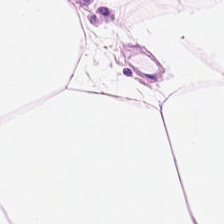H&E-stained tissue section. 0.5 µm per pixel. Predominantly fat tissue.
